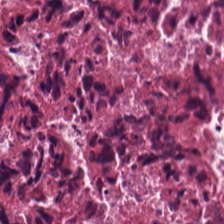Hematoxylin-and-eosin stained section. 0.5 microns per pixel — Q: What tissue type is shown here?
A: It is debris.
